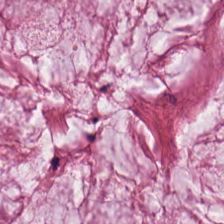This field is mucus.
